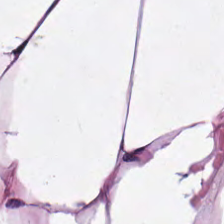Stain: hematoxylin-and-eosin stained section.
Tissue class: adipose.
